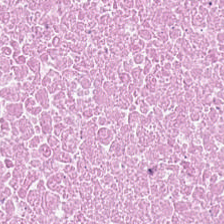0.5 µm/px; brightfield microscopy; hematoxylin-and-eosin stained section.
Predominant tissue = necrotic debris.
